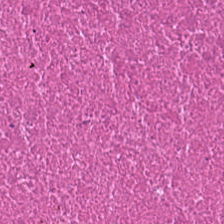FFPE tissue section · H&E stain. This field is necrotic debris.
